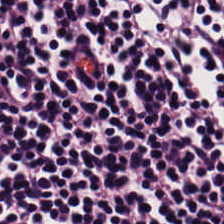H&E.
The tissue here is lymphocyte aggregate.
